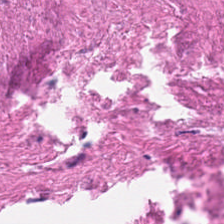Hematoxylin-and-eosin stained section — Predominant tissue: cellular debris.
